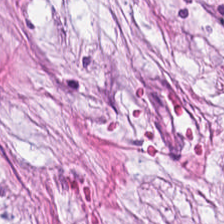H&E.
Predominantly cancer-associated stroma.
